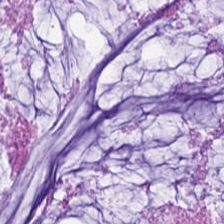Predominant tissue: mucus.
